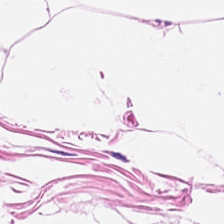Stain: hematoxylin and eosin.
Tissue: adipocytes.
